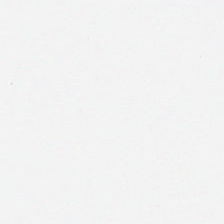H&E. 224×224 pixel tile. Brightfield microscopy.
{"content": "background"}
